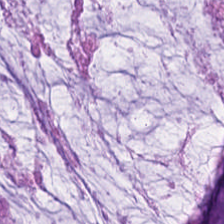This patch shows mucin.
